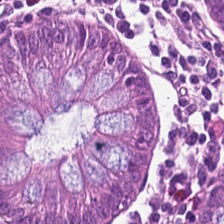H&E-stained tissue section — The tissue here is normal colonic mucosa.
